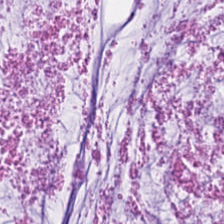Finding → mucus.
